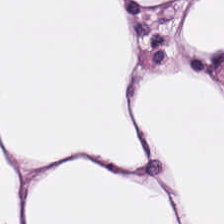H&E-stained tissue section. Adipose tissue.
